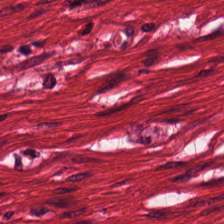FFPE tissue section · H&E stain. Q: What does this patch show?
A: The field shows smooth-muscle tissue.
